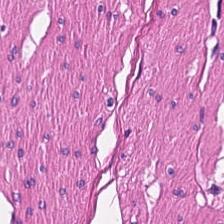Hematoxylin and eosin. Formalin-fixed paraffin-embedded section. Showing smooth muscle.
